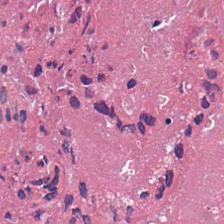Whole-slide-image patch; H&E stain.
Tissue class — necrotic debris.
